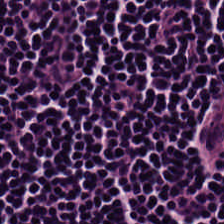224×224 px patch. FFPE tissue section. Hematoxylin and eosin — Tissue — lymphoid infiltrate.
